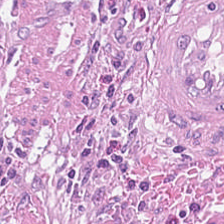WSI patch · H&E-stained tissue section.
This field is cancer-associated stroma.
